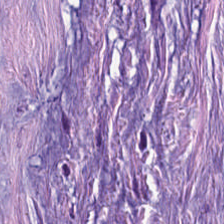H&E — Tissue type: cancer-associated stroma.
